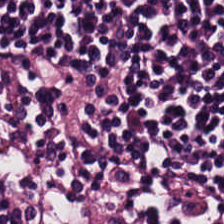Hematoxylin and eosin — Lymphoid infiltrate.
